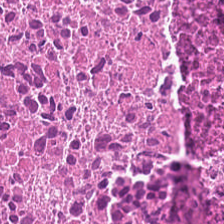H&E-stained section; the field shows debris.
